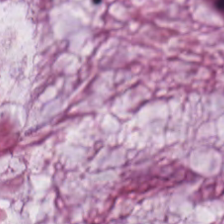Mucin.
